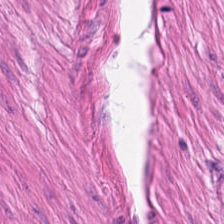H&E — muscularis.
